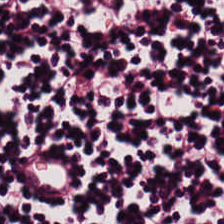0.5 µm/px · hematoxylin and eosin.
The tissue type is lymphoid infiltrate.
